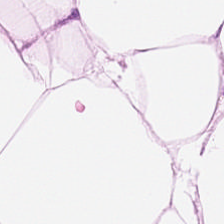H&E.
Tissue class — adipose.
